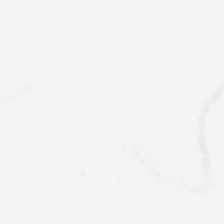Hematoxylin-and-eosin stained section · FFPE tissue section — The field content is empty background.
